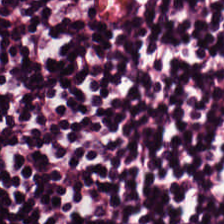Stain: hematoxylin and eosin.
Tissue: lymphocyte aggregate.
